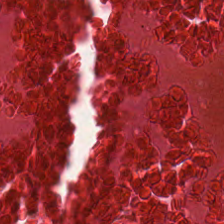224×224 px tile · H&E-stained tissue section — Classification = necrotic debris.
